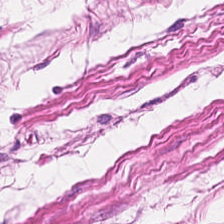H&E. The tissue is smooth-muscle tissue.
